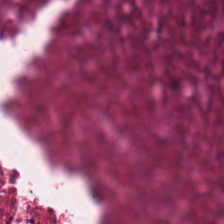0.5 µm per pixel; H&E-stained tissue section.
Q: What is the predominant tissue type?
A: The field shows debris.
